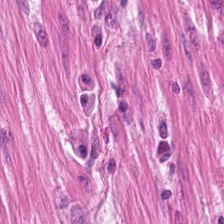Q: What is shown here?
A: This is smooth muscle.
